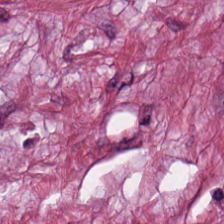This patch shows tumor-associated stroma.
